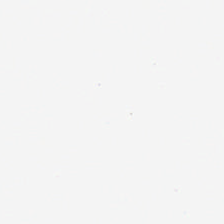Stain: H&E stain.
Classification: background.
